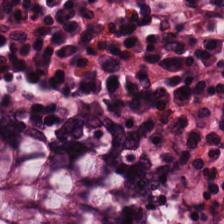H&E. {"tissue_type": "benign colonic mucosa"}
